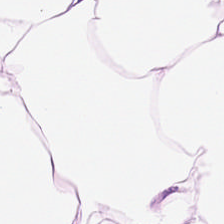Hematoxylin and eosin. This field is adipose tissue.
